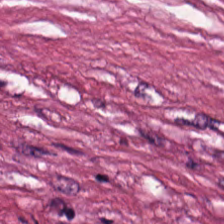Stain: hematoxylin-and-eosin stained section.
Resolution: 0.5 µm/px.
Tissue: necrotic debris.
